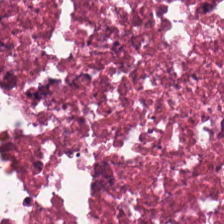224×224 px tile. 0.5 µm/px. Hematoxylin and eosin. Q: What tissue is shown?
A: It is debris.
